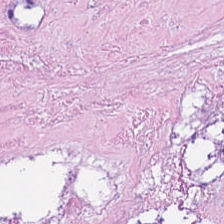Predominantly cellular debris.
